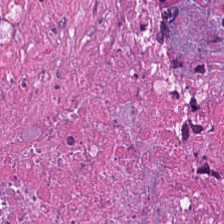H&E.
Q: What is shown in this field?
A: Cellular debris.
